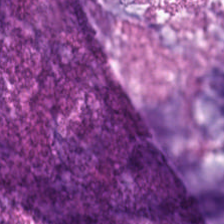H&E stain · 224×224 px patch. Impression — mucin.
